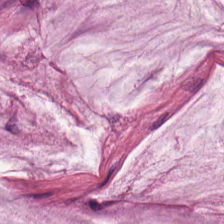Stain: H&E-stained tissue section.
Resolution: 20× equivalent magnification.
Tissue: mucus.
